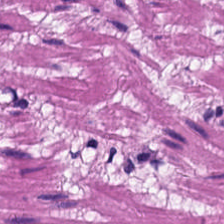Stain: H&E stain.
Resolution: 0.5 microns per pixel.
Acquisition: brightfield microscopy.
Tissue: smooth-muscle tissue.
